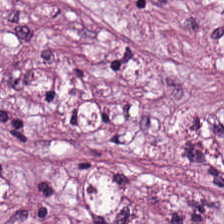Hematoxylin-and-eosin stained section · 20× equivalent magnification · FFPE tissue section. Tissue class = desmoplastic stroma.
